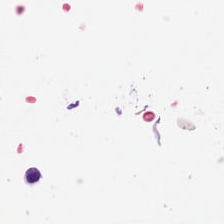H&E. 224×224 px patch — Background.
